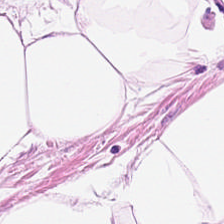Finding → adipose.
